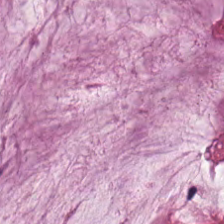This field is mucin.
